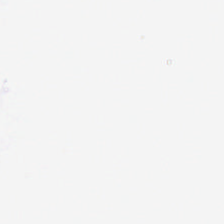FFPE tissue section · H&E stain · brightfield microscopy. Empty field — background.
